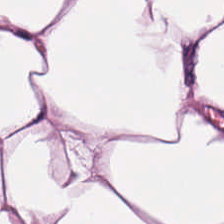Brightfield; hematoxylin and eosin — Adipose tissue.
